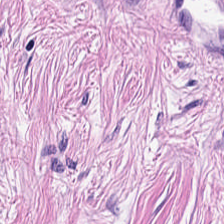FFPE; 224×224 px patch; H&E-stained tissue section — Tumor-associated stroma.
